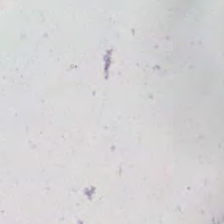Hematoxylin and eosin. WSI patch — Q: Classify this patch.
A: It is empty background.
